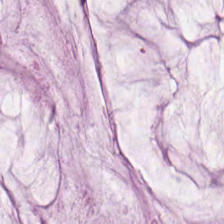FFPE tissue section. Hematoxylin-and-eosin stained section. Predominantly mucin.
